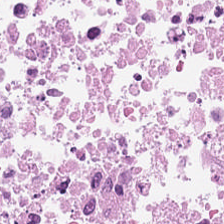Hematoxylin and eosin.
Q: Identify the tissue.
A: Cellular debris.
